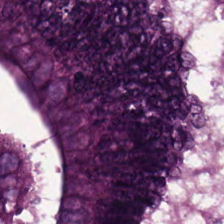H&E-stained tissue section. Q: What does this patch show?
A: This is colorectal adenocarcinoma epithelium.
